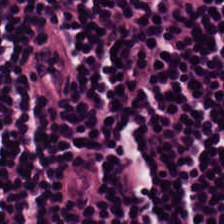Hematoxylin and eosin; brightfield microscopy — Predominantly lymphoid infiltrate.
